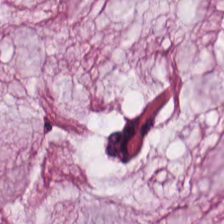Impression → mucus.
